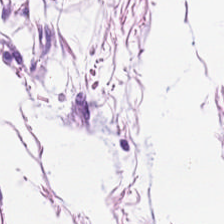Whole-slide-image patch · H&E stain.
The tissue here is adipocytes.
